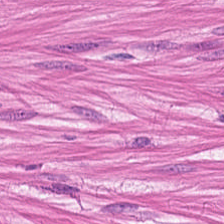Predominantly smooth-muscle tissue.
